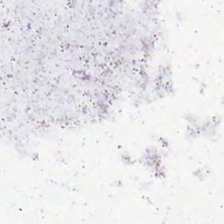Q: What is shown here?
A: The field shows background (no tissue).
